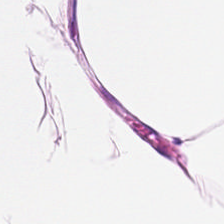Formalin-fixed paraffin-embedded section. H&E.
Showing adipose tissue.
